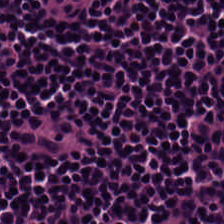H&E. Showing lymphocytic infiltrate.
